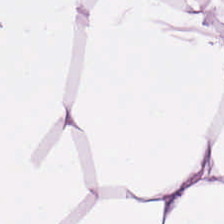H&E.
This field is adipose tissue.
